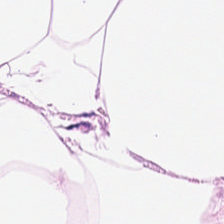H&E stain — Adipose.
